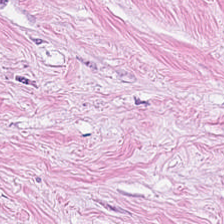Tissue class — cancer-associated stroma.
